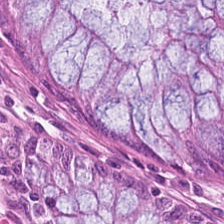Hematoxylin and eosin. Impression → normal colonic mucosa.
